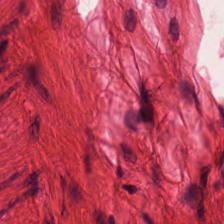Histology — muscularis.
